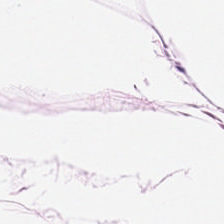H&E — {"tissue_type": "fat tissue"}
